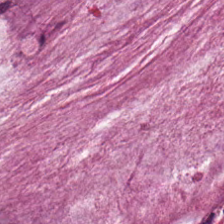H&E stain — {"tissue_type": "mucus"}
